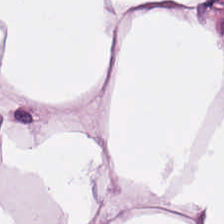Histology — adipose tissue.
